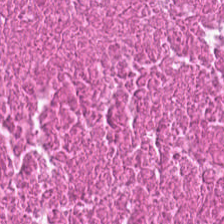H&E stain. This patch shows cellular debris.
